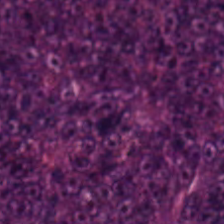Hematoxylin-and-eosin stained section — Impression — colorectal adenocarcinoma epithelium.
